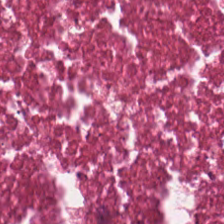Hematoxylin-and-eosin stained section · FFPE tissue section.
Histology — debris.
